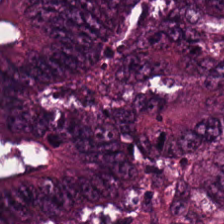224×224 px tile; hematoxylin and eosin — Predominant tissue: colorectal adenocarcinoma.
